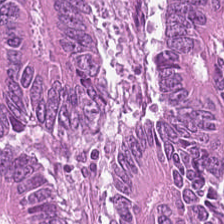Hematoxylin-and-eosin stained section — Q: What type of tissue is this?
A: It is colorectal adenocarcinoma.
